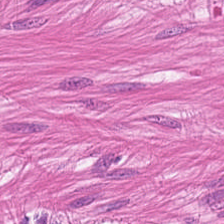H&E stain.
Classification: smooth muscle.
